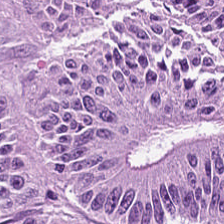H&E-stained tissue section · 224×224 px patch — This patch shows colorectal adenocarcinoma epithelium.
